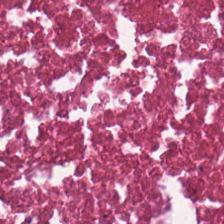H&E-stained tissue section. 224×224 px tile.
This field is debris.
